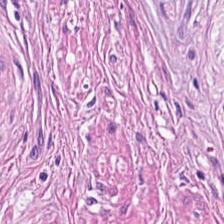224×224 px tile; hematoxylin and eosin.
Q: What type of tissue is this?
A: The field shows smooth muscle.
